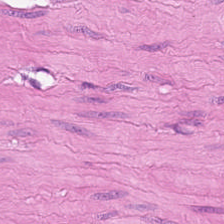Whole-slide-image patch; 224×224 px patch; H&E stain.
Tissue — muscularis.
